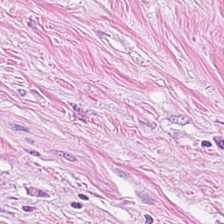Hematoxylin and eosin · whole-slide-image patch — The predominant tissue is tumor-associated stroma.
